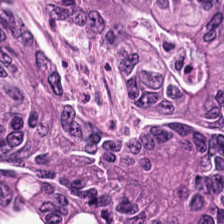WSI patch; H&E — This field is tumor epithelium.
